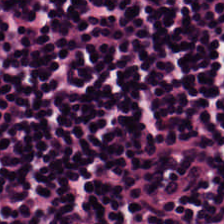Hematoxylin and eosin.
Q: What does this patch show?
A: It is lymphocytic infiltrate.
